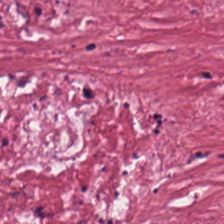H&E stain.
Q: Identify the tissue.
A: Tumor stroma.
